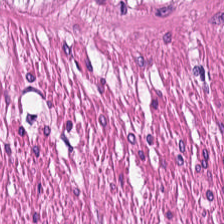Stain: hematoxylin-and-eosin stained section.
Tissue: smooth muscle.
